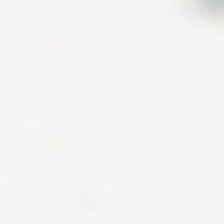Stain: H&E.
Field content: no tissue.
